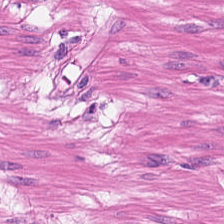H&E stain — Predominantly smooth-muscle tissue.
